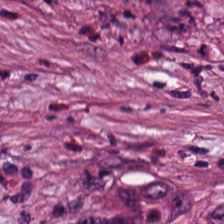Tissue type = desmoplastic stroma.
